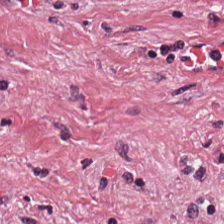H&E-stained tissue section — Predominantly tumor stroma.
